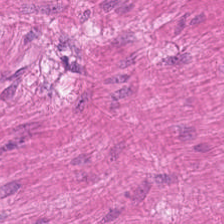H&E-stained tissue section · formalin-fixed paraffin-embedded section.
Smooth-muscle tissue.
